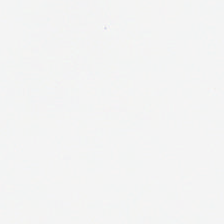No tissue present; background only.
